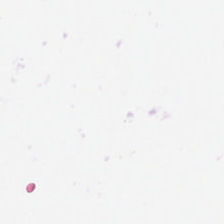Hematoxylin-and-eosin stained section. Finding → no tissue.
